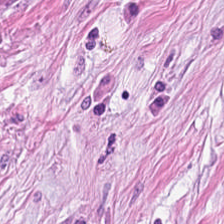Hematoxylin and eosin.
Predominant tissue — tumor stroma.
